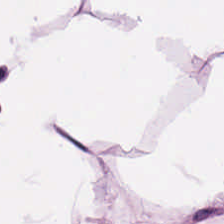224×224 pixel tile; hematoxylin-and-eosin stained section; 0.5 microns per pixel.
Q: What tissue type is shown here?
A: It is adipocytes.
